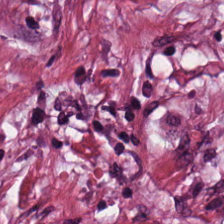224×224 px tile; H&E-stained tissue section; brightfield microscopy.
This patch shows desmoplastic stroma.
